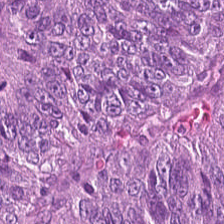Formalin-fixed paraffin-embedded section. H&E.
Q: What is shown here?
A: It is colorectal adenocarcinoma.
